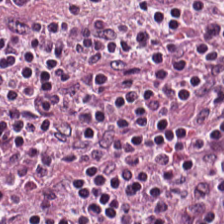Q: Classify this patch.
A: This is lymphocyte aggregate.
